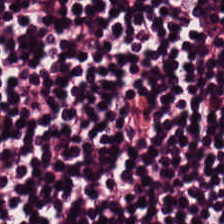Predominantly lymphocytic infiltrate.
